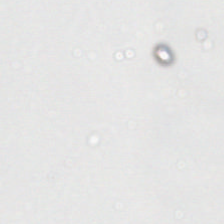No tissue present; background only.
